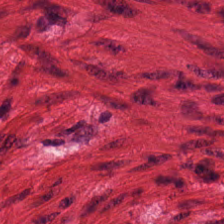H&E-stained tissue section. FFPE. Q: What tissue is shown?
A: This is smooth-muscle tissue.
